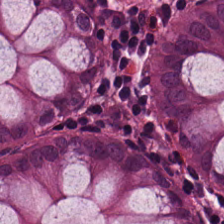Q: What tissue is shown?
A: Normal colon mucosa.
